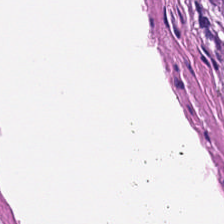Hematoxylin-and-eosin stained section; brightfield; 20× equivalent magnification. Classification — muscularis.
